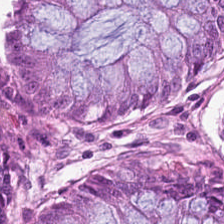Hematoxylin and eosin · 224×224 pixel tile · WSI patch. Showing normal colon mucosa.
